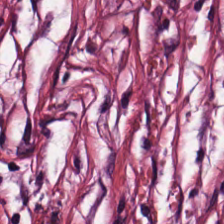Tissue = desmoplastic stroma.
